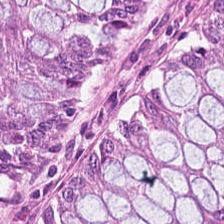Hematoxylin and eosin. Tissue: normal colon mucosa.
